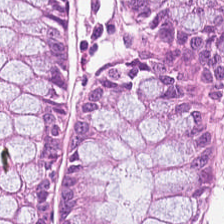H&E-stained tissue section. Showing normal colonic mucosa.
